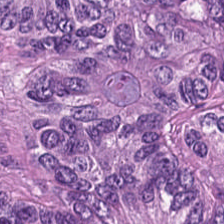Classification — adenocarcinoma.
